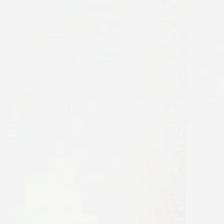H&E stain.
Empty field — background (no tissue).
